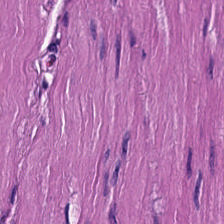Q: Classify this patch.
A: This is smooth muscle.
